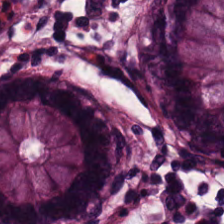H&E stain — The tissue here is benign colonic mucosa.
